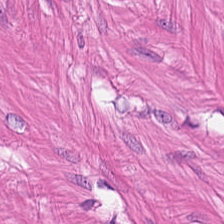Stain: H&E stain.
Classification: smooth-muscle tissue.
